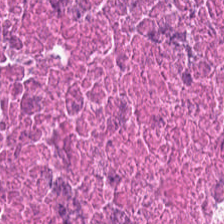Hematoxylin and eosin — This field is necrotic debris.
